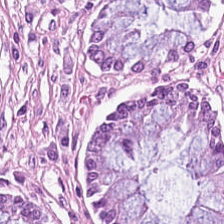Hematoxylin-and-eosin stained section. FFPE. 0.5 µm per pixel — Histology → non-neoplastic colon mucosa.
